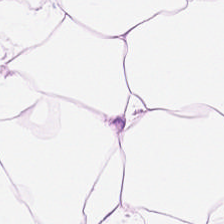Stain: H&E.
Predominant tissue: adipocytes.
